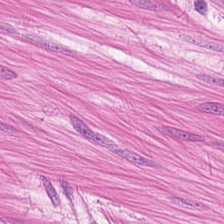224×224 pixel tile. H&E stain.
Tissue class — smooth muscle.
